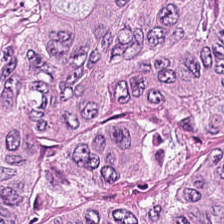0.5 microns per pixel; H&E stain. Predominantly tumor epithelium.
